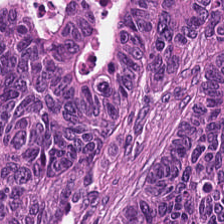0.5 µm per pixel; hematoxylin and eosin; brightfield.
Predominantly adenocarcinoma.
